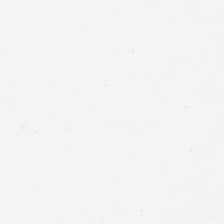Stain: H&E-stained tissue section.
Preparation: formalin-fixed paraffin-embedded section.
Acquisition: whole-slide-image patch.
Classification: empty background.
